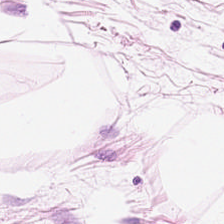H&E-stained tissue section.
This patch shows fat tissue.
